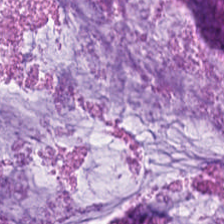H&E.
Q: What does this patch show?
A: Mucus.
